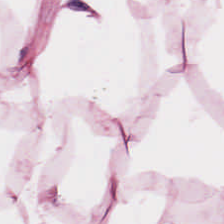224×224 pixel tile. 0.5 microns per pixel. H&E-stained tissue section — Finding → adipocytes.
